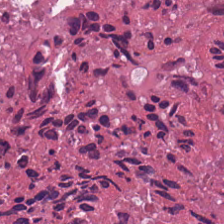Brightfield microscopy · H&E stain. {"tissue_type": "debris"}
